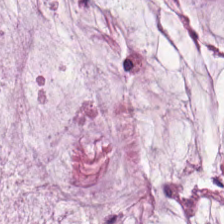H&E stain — Q: What type of tissue is this?
A: It is mucus.
